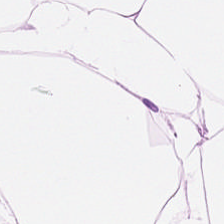Hematoxylin-and-eosin stained section · 224×224 pixel tile — Histology — fat tissue.
